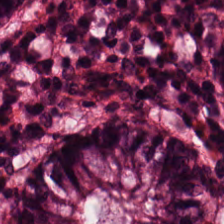FFPE tissue section; H&E stain — The tissue here is normal colonic mucosa.
